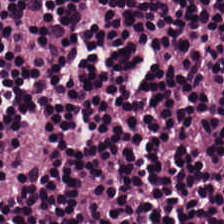Hematoxylin-and-eosin stained section · WSI patch.
Showing lymphocytes.
